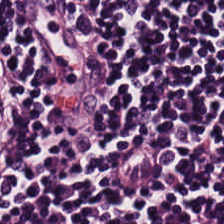H&E; FFPE tissue section; 224×224 pixel tile — {"tissue_type": "lymphocytes"}
